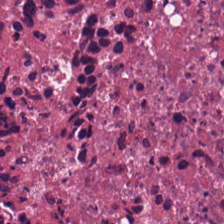Hematoxylin and eosin. Whole-slide-image patch.
The tissue here is necrotic debris.
